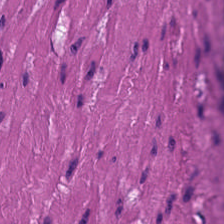Hematoxylin-and-eosin stained section. 224×224 px tile — Tissue type: smooth-muscle tissue.
